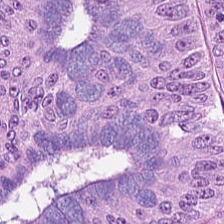Whole-slide-image patch. H&E stain. FFPE — This patch shows colorectal adenocarcinoma epithelium.
